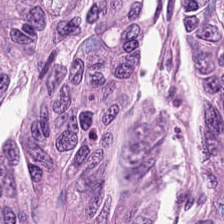0.5 µm per pixel. Hematoxylin and eosin — The predominant tissue is colorectal adenocarcinoma.
